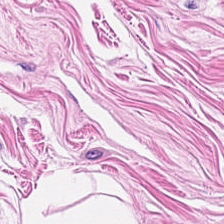Hematoxylin and eosin. WSI patch. Formalin-fixed paraffin-embedded section — Tissue type — smooth-muscle tissue.
